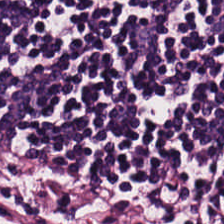Hematoxylin-and-eosin stained section — The predominant tissue is lymphocytic infiltrate.
